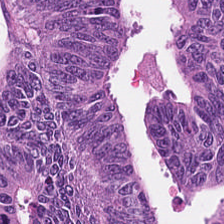{"tissue_type": "malignant epithelium"}
